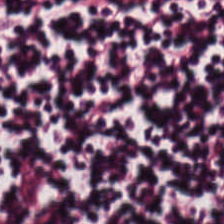H&E. Q: What tissue is shown?
A: Lymphocytic infiltrate.
